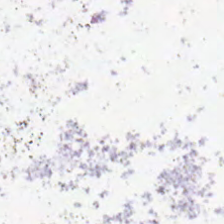H&E stain · 0.5 microns per pixel — Q: Classify this patch.
A: It is empty background.
